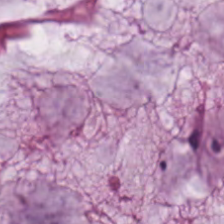Hematoxylin-and-eosin section: mucin.
